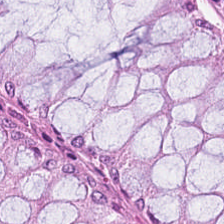Hematoxylin-and-eosin stained section · 224×224 pixel tile.
Finding — normal colon mucosa.
